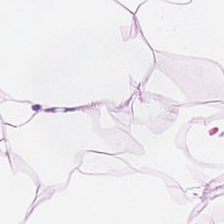Showing adipose.
